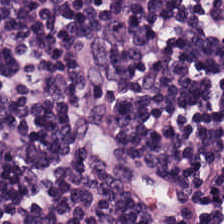WSI patch · H&E stain.
Lymphoid infiltrate.
